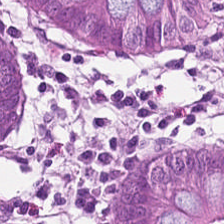Stain: hematoxylin-and-eosin stained section.
Predominant tissue: benign colonic mucosa.
